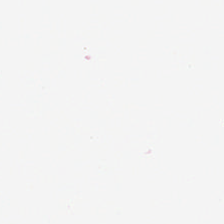H&E-stained tissue section; 224×224 px tile; WSI patch. {"content": "background (no tissue)"}
